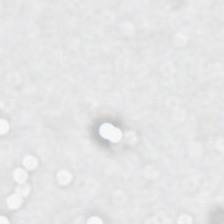H&E-stained tissue section.
Background — no tissue in this field.
